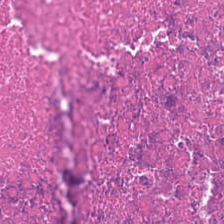H&E stain · 0.5 µm per pixel.
The tissue type is cellular debris.
